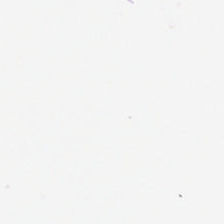Stain: hematoxylin-and-eosin stained section.
Preparation: FFPE tissue section.
Content: background (no tissue).
